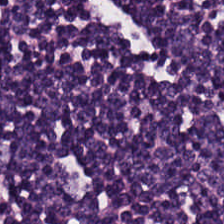H&E · formalin-fixed paraffin-embedded section — The predominant tissue is lymphoid infiltrate.
